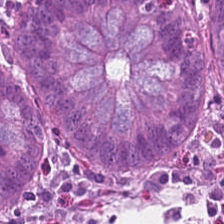Hematoxylin and eosin.
Classification: normal colonic mucosa.
